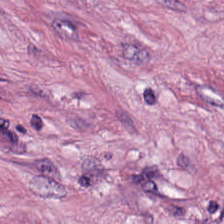Hematoxylin-and-eosin stained section.
Q: What tissue is shown?
A: It is desmoplastic stroma.
